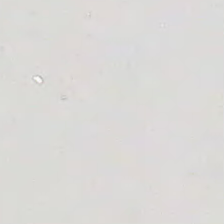Hematoxylin-and-eosin stained section. {"content": "background (no tissue)"}
